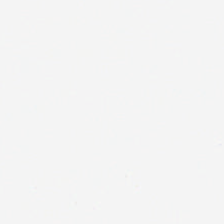H&E-stained tissue section — Q: Classify this patch.
A: It is background (no tissue).
